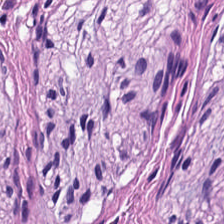Stain: hematoxylin-and-eosin stained section.
Classification: smooth-muscle tissue.
